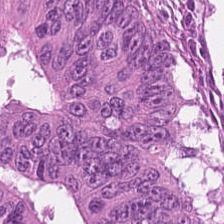H&E. Q: What is shown here?
A: This is colorectal adenocarcinoma epithelium.
